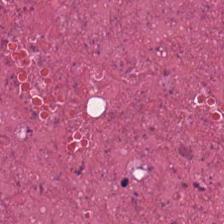224×224 px patch; H&E-stained tissue section. Q: What tissue type is shown here?
A: Debris.
